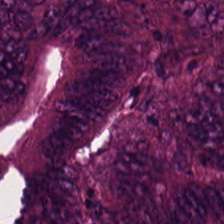Hematoxylin and eosin. Histology — malignant epithelium.
